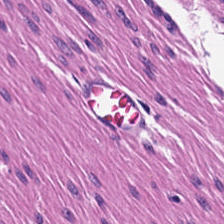224×224 px patch; H&E — Predominant tissue: smooth-muscle tissue.
